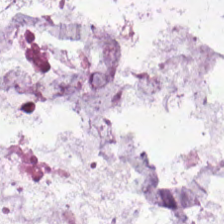Hematoxylin-and-eosin stained section · 224×224 pixel tile · FFPE tissue section. Q: Classify this patch.
A: It is mucus.
